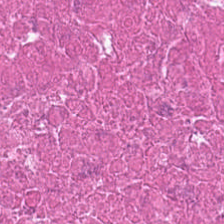H&E.
The predominant tissue is cellular debris.
